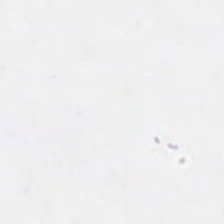0.5 µm per pixel; H&E-stained tissue section. Background — no tissue in this field.
